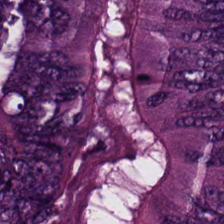Formalin-fixed paraffin-embedded section. H&E-stained tissue section — Predominantly adenocarcinoma.
